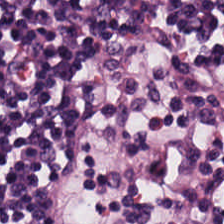H&E-stained tissue section. Q: Identify the tissue.
A: It is lymphocytic infiltrate.
